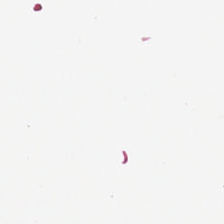Stain: hematoxylin-and-eosin stained section.
Content: no tissue.
